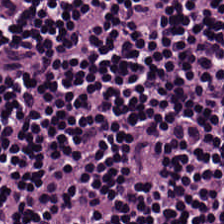224×224 px patch · H&E-stained tissue section — Finding — lymphocyte aggregate.
